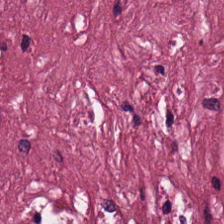FFPE tissue section. H&E stain — Q: What is the predominant tissue type?
A: It is cancer-associated stroma.
